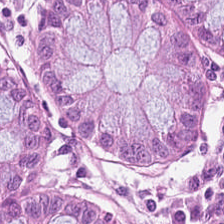224×224 px tile; H&E. {"tissue_type": "benign colonic mucosa"}
